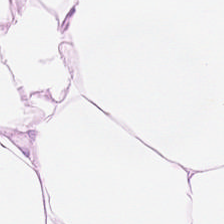224×224 px patch · 0.5 microns per pixel · H&E stain. Adipose.
